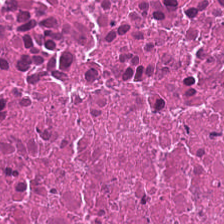H&E. The tissue here is debris.
